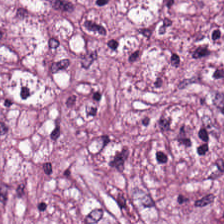H&E.
Classification = desmoplastic stroma.
